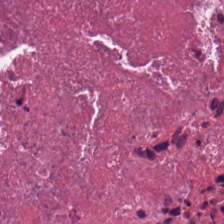Predominant tissue: necrotic debris.
